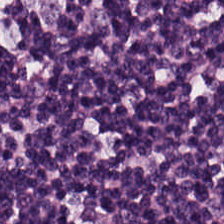Tissue type: lymphocytic infiltrate.
